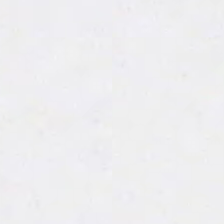Content: empty background.
